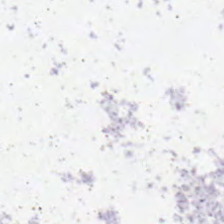H&E stain · 0.5 µm per pixel. This patch shows background (no tissue).
